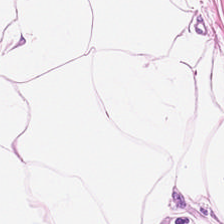H&E stain — Histology — adipocytes.
